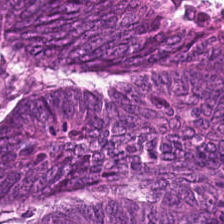Hematoxylin and eosin · 224×224 px tile — The tissue type is colorectal adenocarcinoma.
